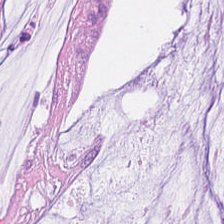H&E stain. 224×224 px patch. Q: What is the predominant tissue type?
A: The field shows mucus.
